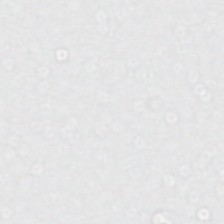224×224 px patch; H&E-stained tissue section; FFPE tissue section — Field content: background.
